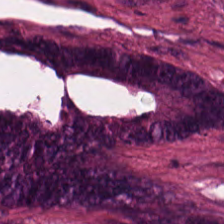H&E-stained tissue section. The tissue type is colorectal adenocarcinoma epithelium.
